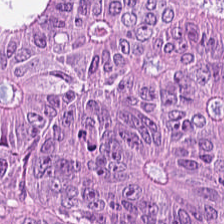Tissue = tumor epithelium.
